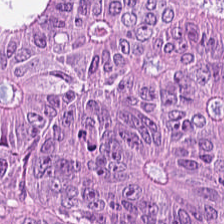Tissue = tumor epithelium.
